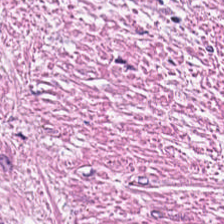0.5 microns per pixel · H&E-stained tissue section — Q: What tissue type is shown here?
A: It is desmoplastic stroma.
